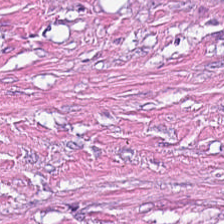H&E stain. Histology — cancer-associated stroma.
